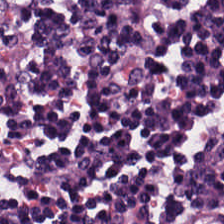Stain: hematoxylin and eosin.
Preparation: formalin-fixed paraffin-embedded section.
Tissue class: lymphocytes.
